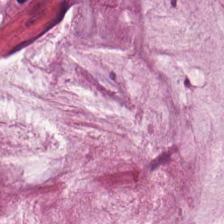Hematoxylin and eosin. This patch shows mucin.
